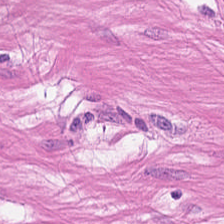H&E. 20× equivalent magnification. This field is smooth-muscle tissue.
